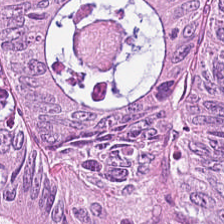Histology → adenocarcinoma.
